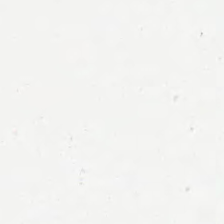H&E stain; 224×224 px tile — Field content = background (no tissue).
